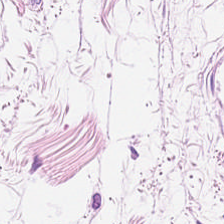Showing adipose tissue.
